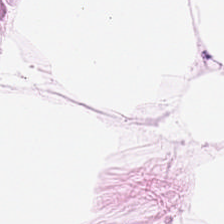Fat tissue.
